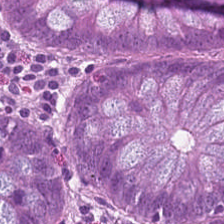H&E; FFPE tissue section; 224×224 pixel tile — Tissue class — normal colonic mucosa.
